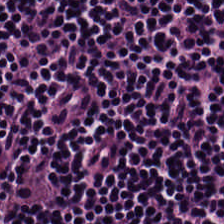H&E.
Predominant tissue: lymphocyte aggregate.
